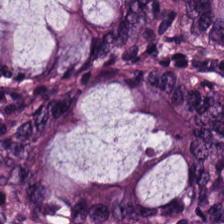Hematoxylin-and-eosin stained section.
Q: What is shown in this field?
A: It is non-neoplastic colon mucosa.
